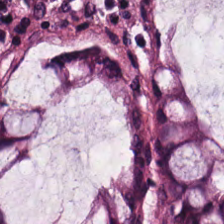Impression → non-neoplastic colon mucosa.
